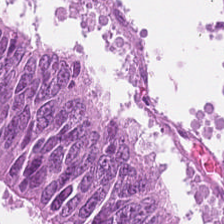Brightfield; H&E-stained tissue section.
Q: What type of tissue is this?
A: It is adenocarcinoma.
